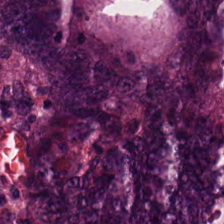The tissue here is tumor epithelium.
